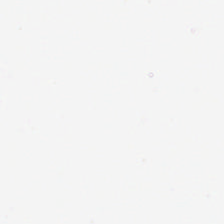Hematoxylin and eosin.
Content: background.
